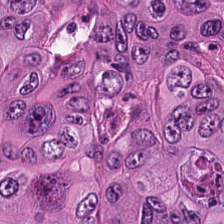224×224 px patch · H&E-stained tissue section. Predominantly colorectal adenocarcinoma.
